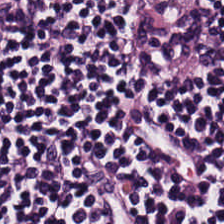Hematoxylin and eosin. Histology — lymphocytic infiltrate.
